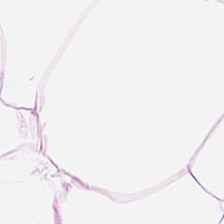Hematoxylin-and-eosin stained section — Q: What is shown in this field?
A: The field shows adipose.
